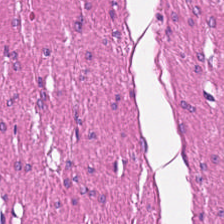0.5 µm per pixel · hematoxylin-and-eosin stained section.
Tissue = smooth-muscle tissue.
